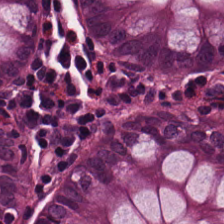H&E stain. Q: Classify this patch.
A: The field shows non-neoplastic colon mucosa.
